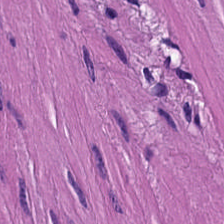Stain: hematoxylin-and-eosin stained section.
Classification: smooth-muscle tissue.
